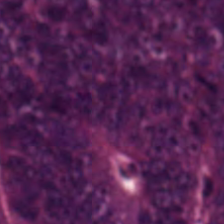H&E-stained tissue section — This field is tumor epithelium.
